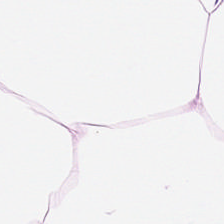Adipose tissue.
